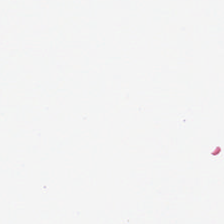H&E. This patch shows background (no tissue).
